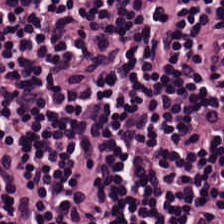224×224 pixel tile; FFPE; H&E — This field is lymphocyte aggregate.
